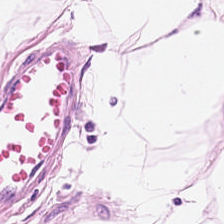FFPE; hematoxylin-and-eosin stained section — Classification: adipocytes.
